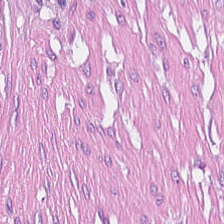224×224 px tile. H&E-stained tissue section.
Showing tumor-associated stroma.
